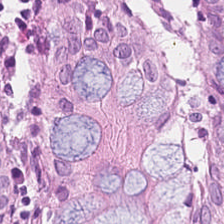H&E-stained tissue section showing normal colon mucosa.
